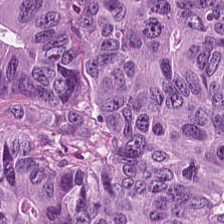Stain: H&E.
Tissue class: colorectal adenocarcinoma epithelium.
